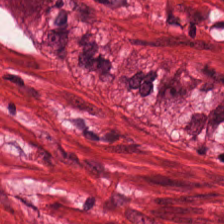H&E-stained tissue section — Predominant tissue — smooth-muscle tissue.
